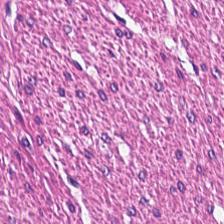Hematoxylin and eosin. FFPE.
Q: Identify the tissue.
A: Smooth muscle.
